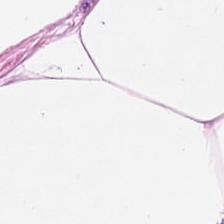224×224 px patch · H&E stain — Q: What is shown in this field?
A: The field shows adipocytes.
